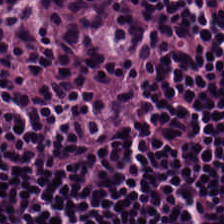Histology → lymphocytes.
